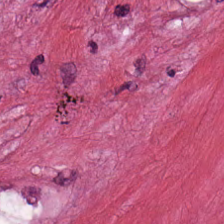WSI patch. Hematoxylin and eosin — Predominantly cancer-associated stroma.
